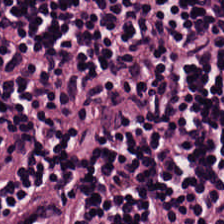Hematoxylin and eosin — Showing lymphocyte aggregate.
